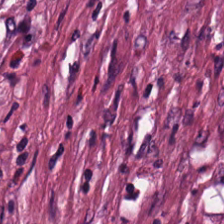H&E.
Q: Identify the tissue.
A: It is desmoplastic stroma.
